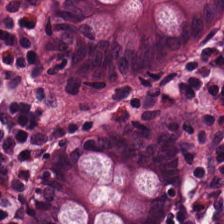224×224 pixel tile. Whole-slide-image patch. Hematoxylin and eosin — The predominant tissue is normal colon mucosa.
